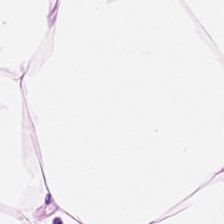The classification is adipose tissue.
